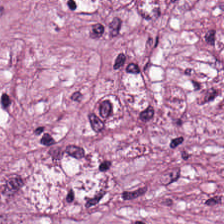H&E stain — Q: What is shown here?
A: The field shows tumor stroma.
